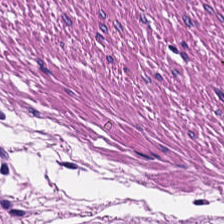H&E-stained tissue section — Tissue — smooth-muscle tissue.
